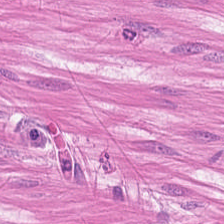H&E stain.
The tissue here is muscularis.
